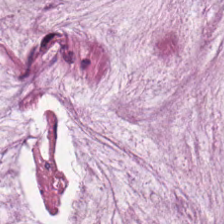H&E stain. Brightfield microscopy. {"tissue_type": "extracellular mucin"}
